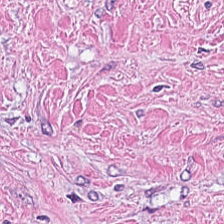H&E-stained tissue section showing desmoplastic stroma.
